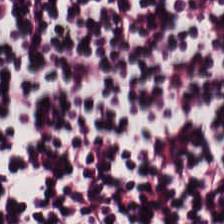224×224 pixel tile. Hematoxylin-and-eosin stained section. 0.5 microns per pixel.
Q: What is the predominant tissue type?
A: This is lymphocytes.
